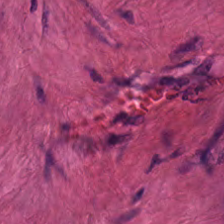Q: Classify this patch.
A: This is smooth-muscle tissue.
